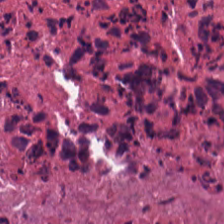Showing debris.
